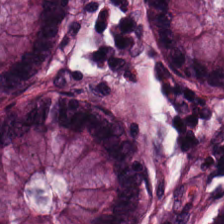H&E · 20× equivalent magnification.
This patch shows non-neoplastic colon mucosa.
